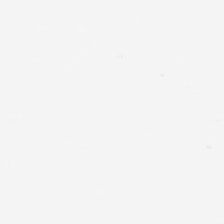H&E; formalin-fixed paraffin-embedded section — This patch shows background (no tissue).
